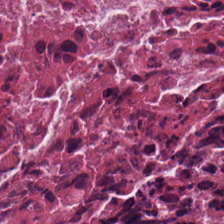0.5 microns per pixel. H&E-stained tissue section — This patch shows cellular debris.
